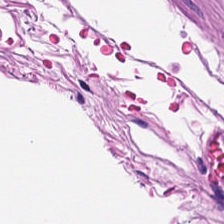Impression → muscularis.
